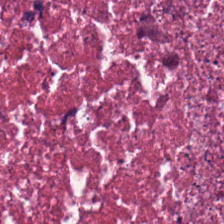FFPE tissue section; brightfield; H&E-stained tissue section. This field is debris.
